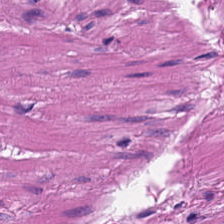Stain: hematoxylin and eosin.
Tissue class: smooth-muscle tissue.
